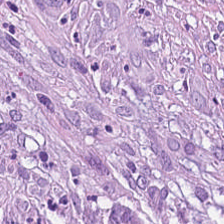Hematoxylin-and-eosin stained section. Predominant tissue = tumor-associated stroma.
